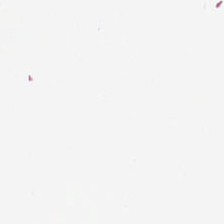{"content": "background"}
